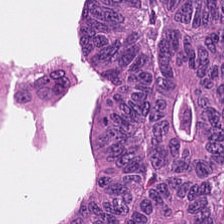Hematoxylin-and-eosin stained section — The predominant tissue is colorectal adenocarcinoma epithelium.
